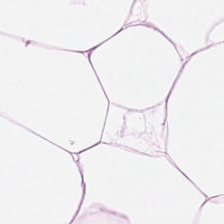0.5 microns per pixel. H&E-stained tissue section.
The predominant tissue is adipose.
